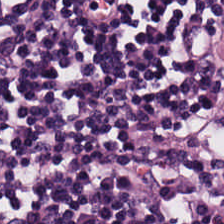H&E — The predominant tissue is lymphoid infiltrate.
